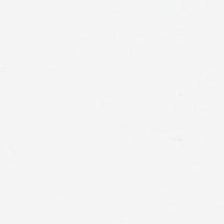This field is background (no tissue).
